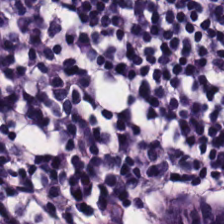H&E — The tissue here is lymphocytes.
